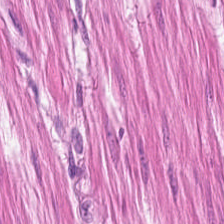224×224 px patch. H&E-stained tissue section.
This field is muscularis.
